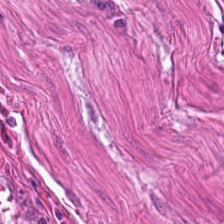Tissue class: smooth-muscle tissue.
